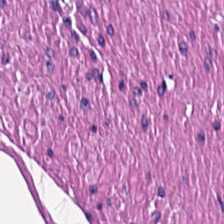Brightfield microscopy. H&E.
Showing muscularis.
